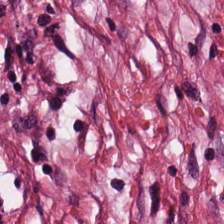Hematoxylin-and-eosin stained section. The tissue here is tumor stroma.
